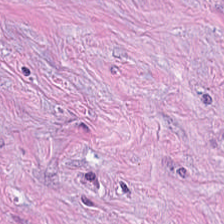H&E · FFPE tissue section.
Tissue type: cancer-associated stroma.
